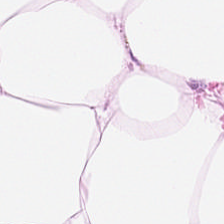Whole-slide-image patch. H&E stain. Q: What is shown here?
A: It is fat tissue.
